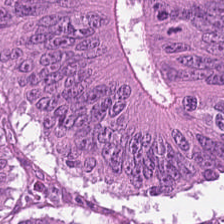H&E stain — Impression → adenocarcinoma.
